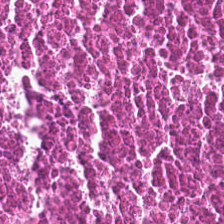H&E-stained tissue section.
Q: What tissue type is shown here?
A: This is debris.
